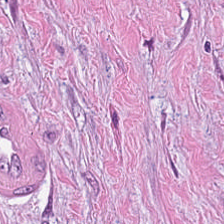Hematoxylin-and-eosin section: tumor stroma.
